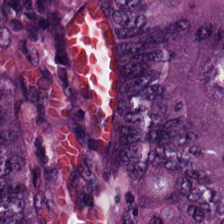Impression — malignant epithelium.
